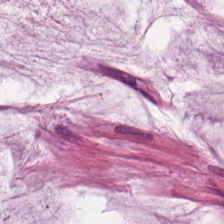H&E stain · FFPE — Mucus.
